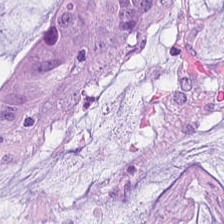The tissue class is extracellular mucin.
